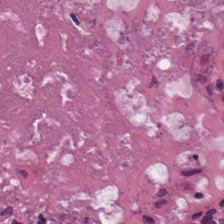H&E. Classification — necrotic debris.
